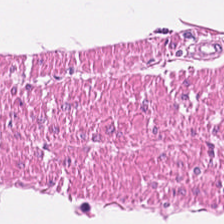H&E-stained tissue section.
Q: What does this patch show?
A: The field shows smooth-muscle tissue.
